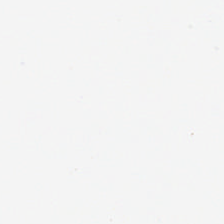H&E-stained tissue section — No tissue present; background only.
